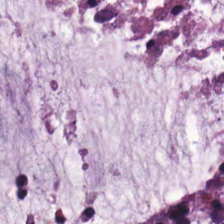H&E-stained tissue section; brightfield microscopy; 224×224 pixel tile — Q: What is shown in this field?
A: Mucin.
